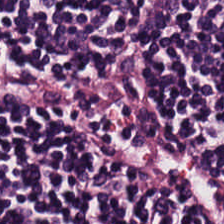Tissue type: lymphoid infiltrate.
